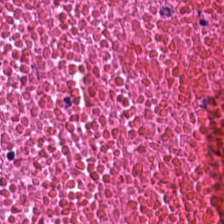Stain: H&E.
Classification: cellular debris.
